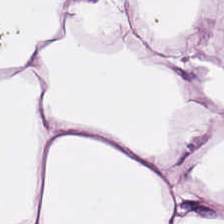Hematoxylin and eosin. Formalin-fixed paraffin-embedded section. WSI patch. Q: What is shown here?
A: This is adipose tissue.
